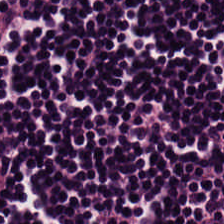H&E. The classification is lymphocyte aggregate.
